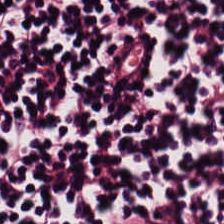H&E stain. Whole-slide-image patch — The predominant tissue is lymphoid infiltrate.
